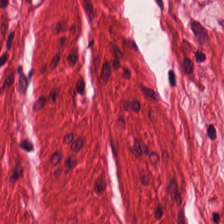H&E-stained tissue section. Muscularis.
